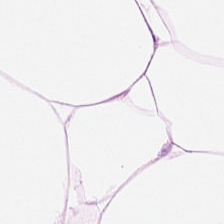H&E-stained tissue section; 224×224 px tile; brightfield — The tissue class is adipose tissue.
